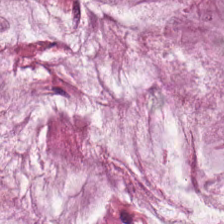H&E stain; FFPE tissue section.
{"tissue_type": "mucus"}
